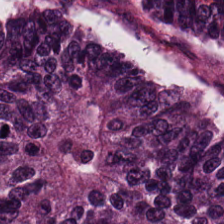H&E stain — Q: What does this patch show?
A: It is malignant epithelium.
